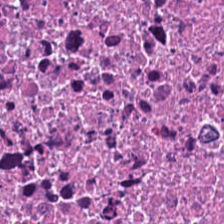This field is debris.
